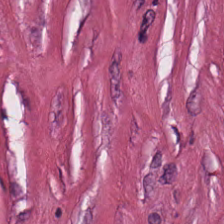0.5 µm/px. Hematoxylin and eosin. FFPE tissue section. Tissue type = cancer-associated stroma.
